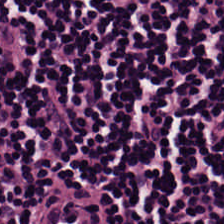H&E. 224×224 px tile.
Lymphocytes.
